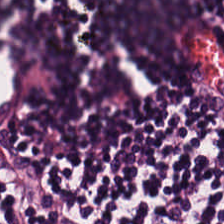Predominant tissue: lymphocyte aggregate.
